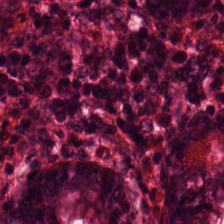Hematoxylin-and-eosin stained section.
Classification = normal colonic mucosa.
